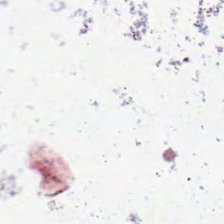0.5 microns per pixel; H&E. Field content — no tissue.
